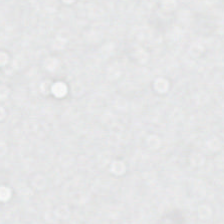Field content = empty background.
